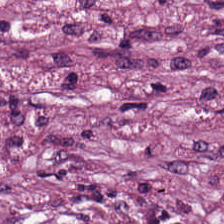Hematoxylin and eosin. This field is tumor stroma.
